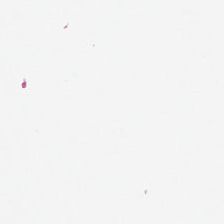{"content": "no tissue"}
